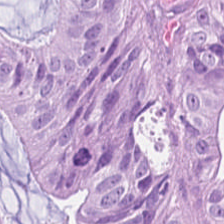H&E-stained tissue section.
{"tissue_type": "adenocarcinoma"}
